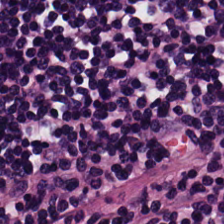Impression — lymphocytes.
